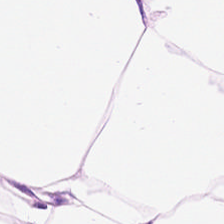H&E-stained tissue section. 0.5 microns per pixel. FFPE tissue section. Q: What tissue is shown?
A: Fat tissue.
